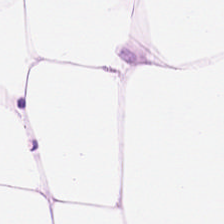H&E stain. Tissue class = fat tissue.
